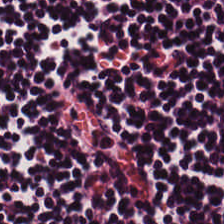The tissue is lymphocytes.
